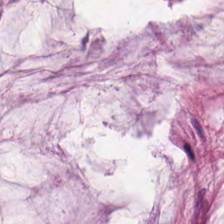H&E-stained tissue section — The tissue here is extracellular mucin.
